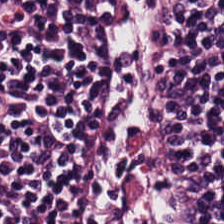Hematoxylin and eosin — Tissue type: lymphocytes.
